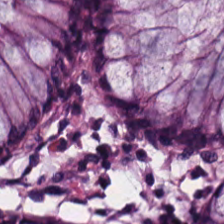H&E-stained tissue section — Impression → normal colon mucosa.
